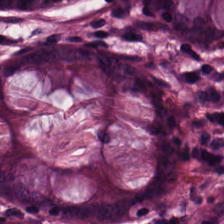Hematoxylin and eosin — This patch shows normal colonic mucosa.
